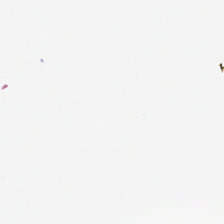H&E.
Impression — no tissue.
